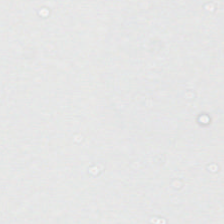Hematoxylin-and-eosin stained section · formalin-fixed paraffin-embedded section — This patch shows empty background.
